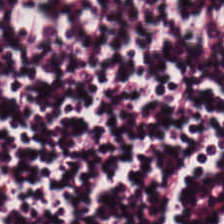Stain: hematoxylin and eosin.
Tile size: 224×224 px tile.
Resolution: 20× equivalent magnification.
Tissue class: lymphoid infiltrate.
